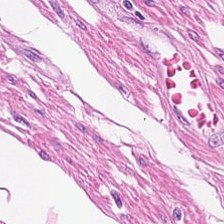Tissue type — muscularis.
